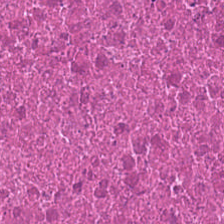Impression → debris.
